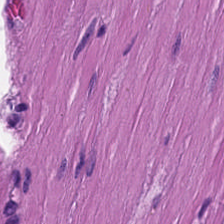Histology — muscularis.
